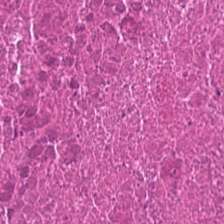Hematoxylin-and-eosin stained section · 0.5 µm per pixel · whole-slide-image patch.
Predominantly debris.
